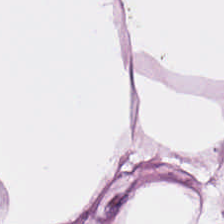Hematoxylin-and-eosin stained section — Predominantly adipose tissue.
